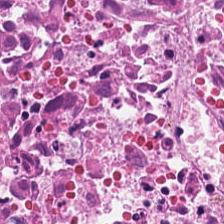Q: What does this patch show?
A: This is debris.
